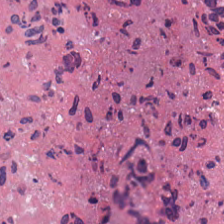H&E stain — The tissue here is cellular debris.
